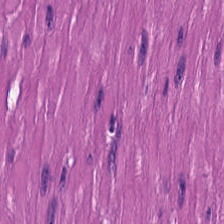FFPE tissue section. Hematoxylin and eosin — Predominant tissue: muscularis.
